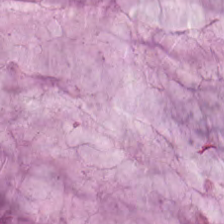Hematoxylin and eosin — {"tissue_type": "mucin"}
